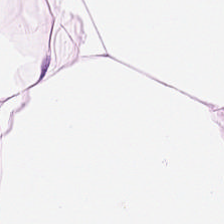Stain: H&E-stained tissue section.
Classification: adipose tissue.
